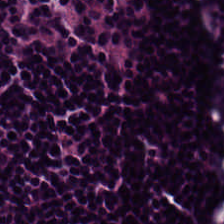Stain: H&E stain.
Acquisition: brightfield.
Classification: lymphocytic infiltrate.
